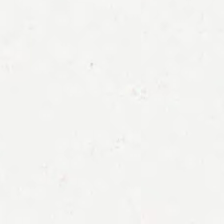Empty field — background (no tissue).
